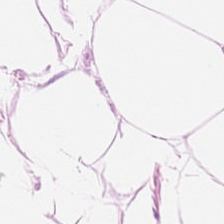H&E-stained tissue section. 0.5 µm/px.
Q: What is the predominant tissue type?
A: This is adipose tissue.
